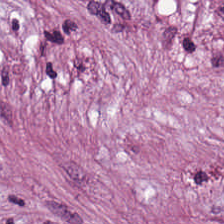{"tissue_type": "desmoplastic stroma"}
